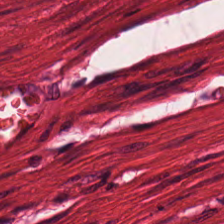H&E stain. Showing smooth-muscle tissue.
